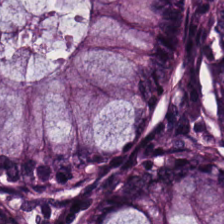H&E stain · FFPE tissue section.
The tissue here is normal colon mucosa.
